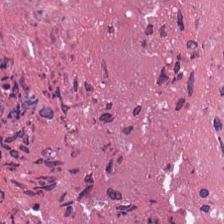Stain: H&E stain.
Predominant tissue: cellular debris.
